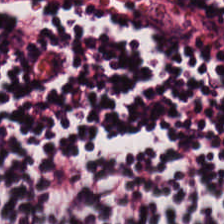Hematoxylin and eosin; WSI patch.
Impression → lymphocytes.
